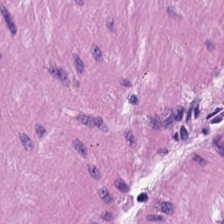Stain: H&E-stained tissue section.
Tile size: 224×224 pixel tile.
Tissue class: smooth muscle.
